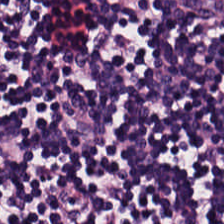Stain: hematoxylin and eosin.
Preparation: formalin-fixed paraffin-embedded section.
Predominant tissue: lymphocytes.
